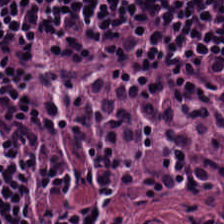This patch shows lymphocytes.
